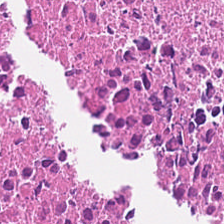FFPE · H&E-stained tissue section — Impression → cellular debris.
